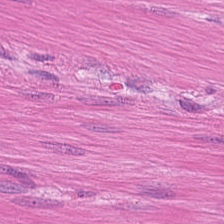WSI patch. H&E. FFPE.
Tissue: smooth muscle.
